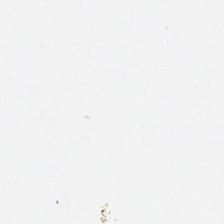This patch shows no tissue.
